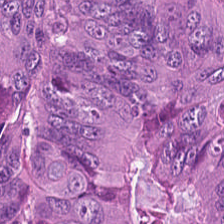Hematoxylin-and-eosin stained section; FFPE tissue section.
Predominant tissue = adenocarcinoma.
